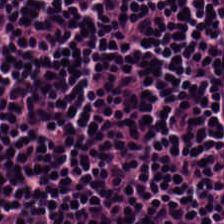H&E; 0.5 microns per pixel. Lymphoid infiltrate.
